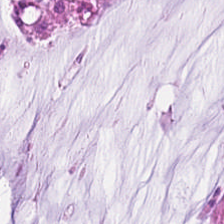H&E-stained section; the field shows mucus.
